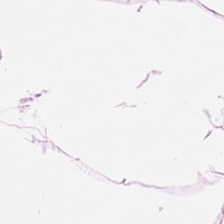H&E-stained tissue section — Predominant tissue — fat tissue.
